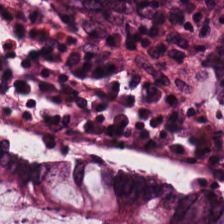Stain: hematoxylin and eosin.
Resolution: 0.5 µm per pixel.
Acquisition: whole-slide-image patch.
Tissue type: normal colonic mucosa.
